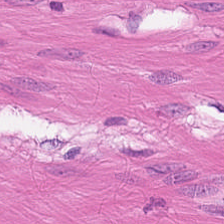Impression → smooth-muscle tissue.
